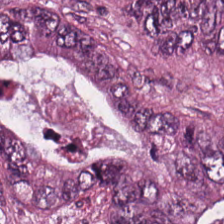Hematoxylin and eosin · 224×224 px patch.
Tissue class — adenocarcinoma.
